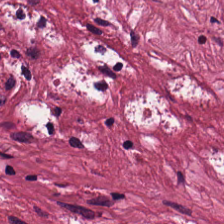Formalin-fixed paraffin-embedded section · hematoxylin-and-eosin stained section — The tissue class is desmoplastic stroma.
